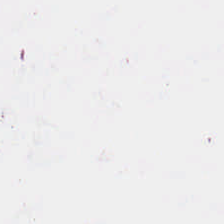Stain: hematoxylin and eosin.
Classification: no tissue.
